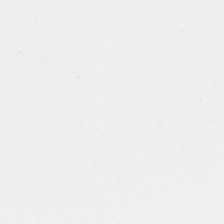H&E stain. 20× equivalent magnification. This field is background (no tissue).
